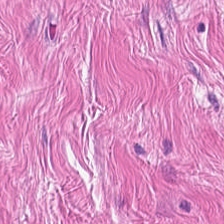Hematoxylin-and-eosin stained section · FFPE · 0.5 microns per pixel.
Q: What is the predominant tissue type?
A: This is muscularis.
